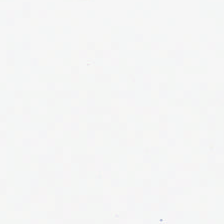Impression → no tissue.
